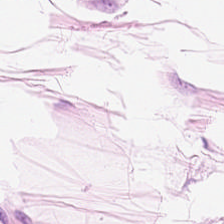This field is fat tissue.
